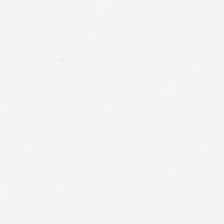H&E — Empty field — background.
